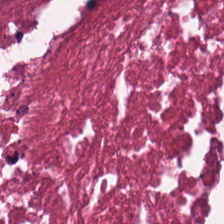224×224 pixel tile. H&E stain.
Q: Classify this patch.
A: This is cellular debris.
